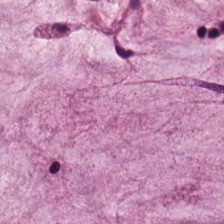Mucus.
